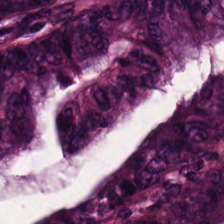This patch shows adenocarcinoma.
